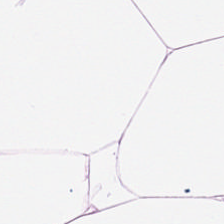H&E stain.
Predominantly adipocytes.
